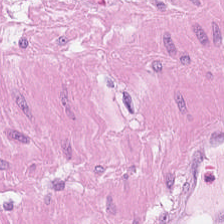H&E patch showing smooth-muscle tissue.
